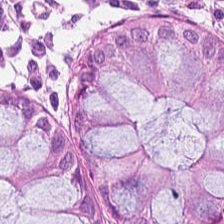Hematoxylin-and-eosin stained section; 0.5 µm per pixel; FFPE — Predominant tissue — normal colonic mucosa.
